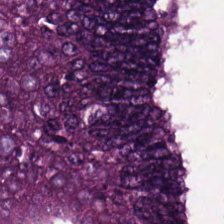Stain: H&E stain.
Preparation: FFPE tissue section.
Acquisition: WSI patch.
Tissue class: malignant epithelium.
